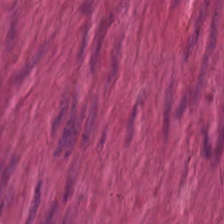Stain: H&E-stained tissue section.
Tissue type: muscularis.
